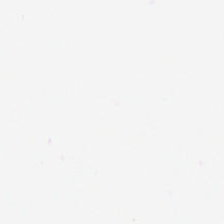Stain: H&E.
Field content: background.
